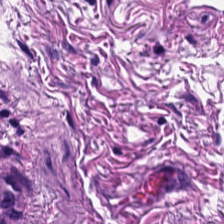H&E.
The classification is smooth muscle.
